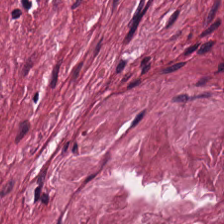224×224 pixel tile · hematoxylin and eosin.
Showing tumor-associated stroma.
